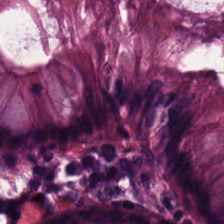Stain: hematoxylin and eosin.
Acquisition: brightfield microscopy.
Preparation: formalin-fixed paraffin-embedded section.
Tissue: normal colonic mucosa.
